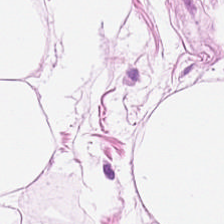H&E stain — Tissue class: fat tissue.
